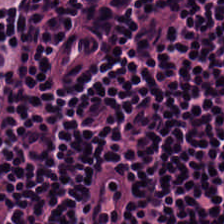Lymphocytes.
